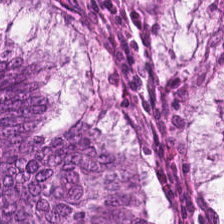Showing tumor epithelium.
